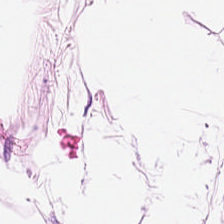{"tissue_type": "adipose"}
